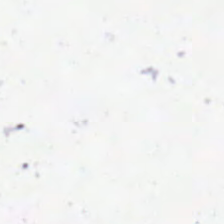Brightfield microscopy · hematoxylin and eosin. Q: What is shown here?
A: No tissue.
